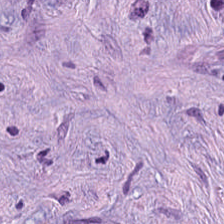H&E-stained tissue section. {"tissue_type": "tumor-associated stroma"}
